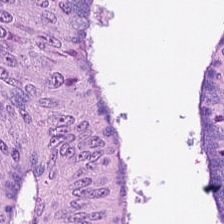H&E-stained tissue section. Tissue class = adenocarcinoma.
